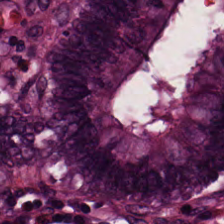H&E.
Tissue — normal colonic mucosa.
